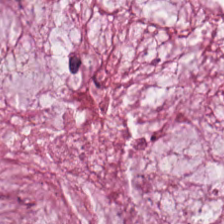224×224 px patch. Hematoxylin-and-eosin stained section. Predominantly mucus.
